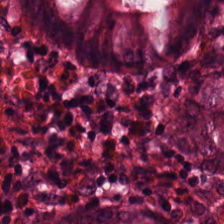Formalin-fixed paraffin-embedded section; H&E-stained tissue section; 20× equivalent magnification. Impression → normal colonic mucosa.
